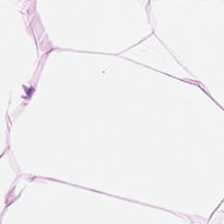H&E stain; brightfield microscopy; FFPE. Showing adipocytes.
